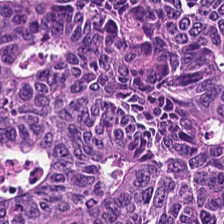H&E.
Tissue type = tumor epithelium.
